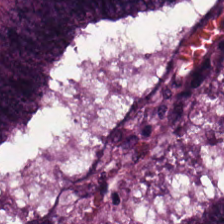0.5 microns per pixel · 224×224 px patch · H&E stain — Predominantly colorectal adenocarcinoma epithelium.
